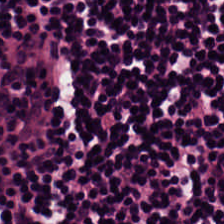The tissue here is lymphocytic infiltrate.
